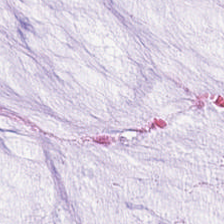H&E stain. Tissue = mucin.
